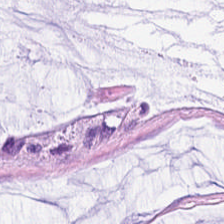Showing mucus.
